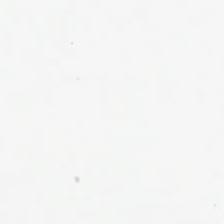0.5 µm/px · H&E-stained tissue section.
This patch shows empty background.
